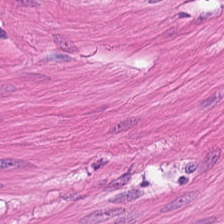Stain: hematoxylin-and-eosin stained section.
Tissue: muscularis.
